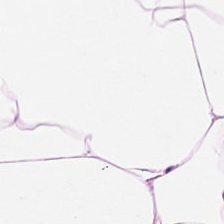Hematoxylin and eosin. Predominant tissue = adipose.
